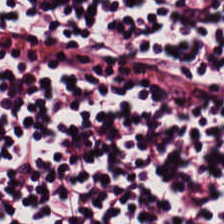224×224 pixel tile. WSI patch. H&E — Lymphoid infiltrate.
